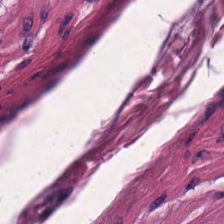Hematoxylin-and-eosin stained section.
Q: What is the predominant tissue type?
A: This is smooth muscle.
